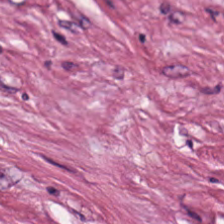Finding — cancer-associated stroma.
